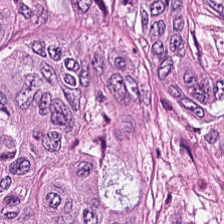Q: What tissue type is shown here?
A: This is malignant epithelium.
